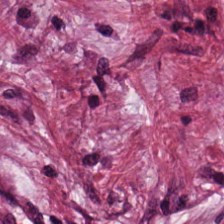Hematoxylin-and-eosin stained section. Tissue = desmoplastic stroma.
